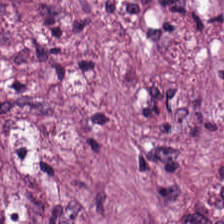H&E-stained section; the field shows tumor stroma.
